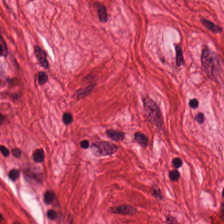Stain: hematoxylin and eosin.
Tissue: muscularis.
